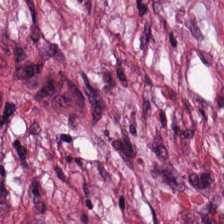Hematoxylin and eosin · FFPE tissue section — Q: What tissue type is shown here?
A: Cancer-associated stroma.
